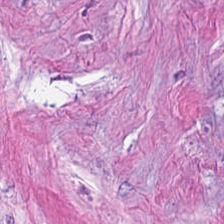H&E — Q: What is the predominant tissue type?
A: It is cancer-associated stroma.
